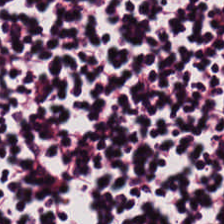Hematoxylin and eosin — This patch shows lymphocytes.
